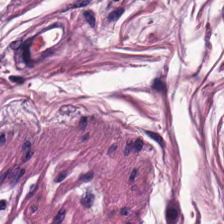H&E stain. Smooth-muscle tissue.
